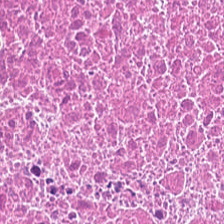The tissue is cellular debris.
